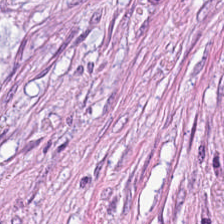H&E — desmoplastic stroma.
